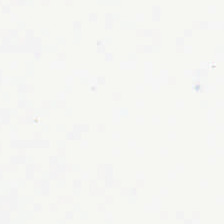Classification — background (no tissue).
